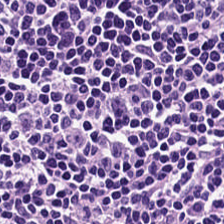H&E stain; 224×224 px tile. Tissue type = lymphocyte aggregate.
